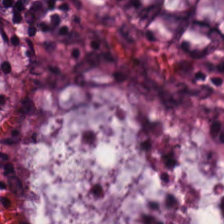Finding — normal colonic mucosa.
